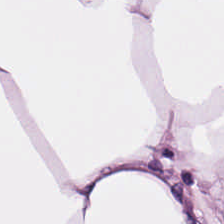H&E-stained section; the field shows adipocytes.
